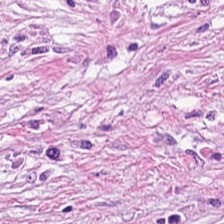224×224 px patch; 20× equivalent magnification; H&E — Q: What does this patch show?
A: Desmoplastic stroma.
